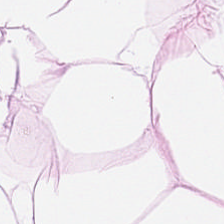224×224 pixel tile. H&E stain — The tissue is adipocytes.
